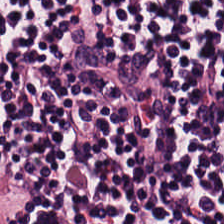WSI patch; H&E.
Impression → lymphocyte aggregate.
